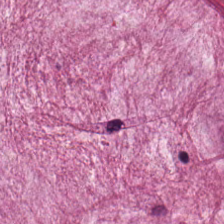Stain: H&E.
Acquisition: brightfield.
Predominant tissue: mucus.
